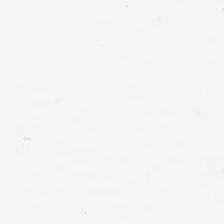FFPE; brightfield; H&E stain.
Field content: no tissue.
